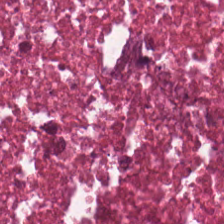H&E-stained tissue section. WSI patch.
{"tissue_type": "cellular debris"}
